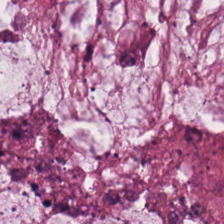H&E — The predominant tissue is mucus.
